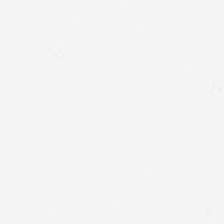Empty field — empty background.
